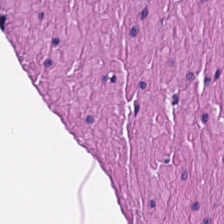H&E — smooth muscle.
